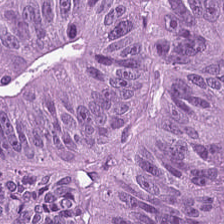Stain: H&E-stained tissue section.
Acquisition: brightfield microscopy.
Classification: tumor epithelium.
